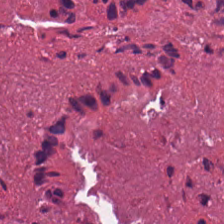Hematoxylin-and-eosin stained section; 20× equivalent magnification; FFPE tissue section — Histology — necrotic debris.
